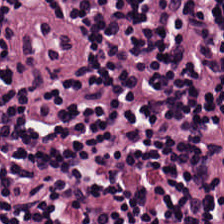224×224 px patch · hematoxylin-and-eosin stained section. This field is lymphocytes.
